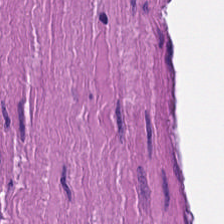Hematoxylin-and-eosin stained section — Tissue type = smooth muscle.
